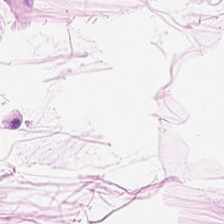224×224 pixel tile. Whole-slide-image patch. H&E stain. Showing fat tissue.
